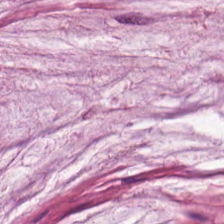H&E stain; formalin-fixed paraffin-embedded section — {"tissue_type": "mucus"}
